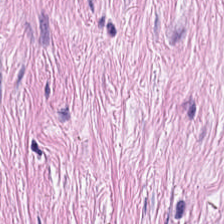Whole-slide-image patch · H&E-stained tissue section. Q: What type of tissue is this?
A: This is tumor stroma.
